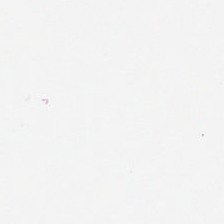H&E stain; brightfield. Content = empty background.
